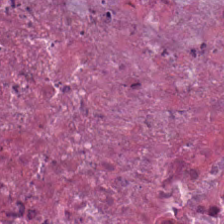Hematoxylin-and-eosin stained section — Predominant tissue — cellular debris.
